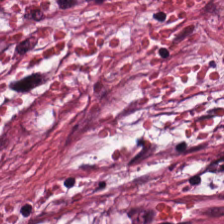H&E; WSI patch.
Classification: cancer-associated stroma.
